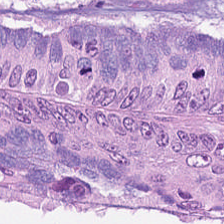Hematoxylin-and-eosin stained section. Q: What is the predominant tissue type?
A: Adenocarcinoma.
